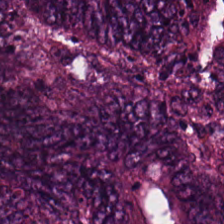FFPE · 224×224 px tile · H&E — The tissue type is colorectal adenocarcinoma epithelium.
